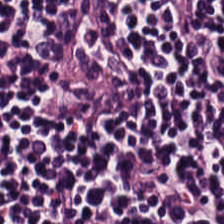H&E-stained tissue section. The tissue is lymphocyte aggregate.
